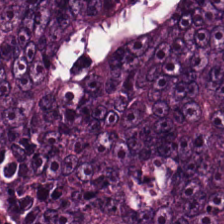Classification: colorectal adenocarcinoma epithelium.
